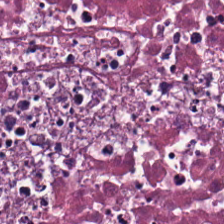The tissue type is cellular debris.
